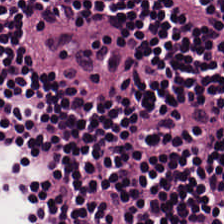Q: What is the predominant tissue type?
A: It is lymphoid infiltrate.
